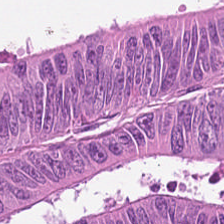FFPE tissue section · 224×224 pixel tile · hematoxylin-and-eosin stained section — Q: Identify the tissue.
A: This is malignant epithelium.
